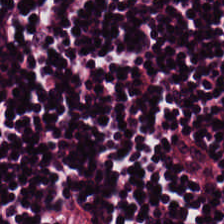20× equivalent magnification; 224×224 px patch; H&E — This field is lymphocytes.
